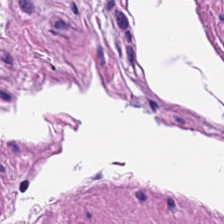Tissue class: muscularis.
